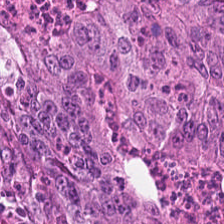Brightfield · hematoxylin-and-eosin stained section · 0.5 µm per pixel.
Tissue class — malignant epithelium.
